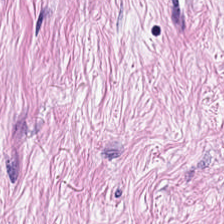Hematoxylin and eosin. Formalin-fixed paraffin-embedded section. Whole-slide-image patch. This patch shows tumor stroma.
